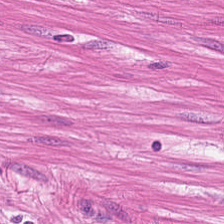224×224 px tile; H&E stain; formalin-fixed paraffin-embedded section — Tissue type = muscularis.
